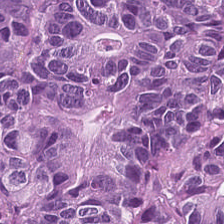224×224 px patch; hematoxylin-and-eosin stained section — Predominantly colorectal adenocarcinoma.
